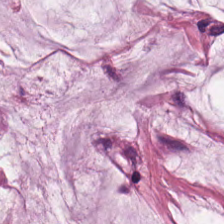0.5 µm per pixel; H&E. {"tissue_type": "mucin"}
